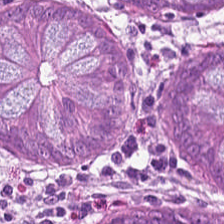Brightfield microscopy · H&E stain. Q: What is shown in this field?
A: The field shows normal colonic mucosa.
